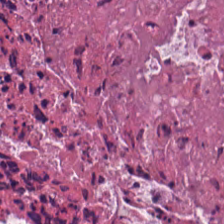Hematoxylin-and-eosin stained section — The tissue here is debris.
